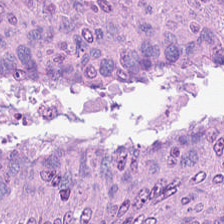FFPE tissue section; H&E.
The tissue class is colorectal adenocarcinoma.
